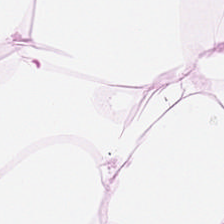Hematoxylin-and-eosin stained section; 0.5 µm/px — Predominantly adipose tissue.
